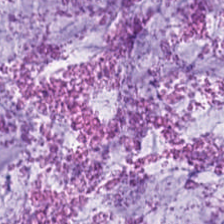Hematoxylin-and-eosin section: mucin.
